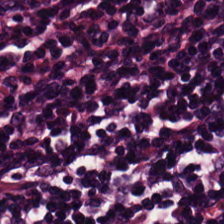WSI patch; hematoxylin and eosin.
Tissue type — lymphocytic infiltrate.
